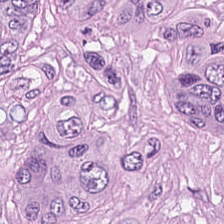H&E-stained tissue section. Impression — malignant epithelium.
